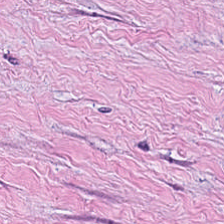Hematoxylin-and-eosin stained section; FFPE.
This field is cancer-associated stroma.
